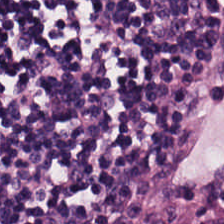H&E stain. Histology → lymphocytes.
